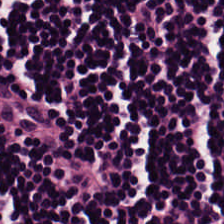H&E stain; 20× equivalent magnification.
Tissue type: lymphocytes.
